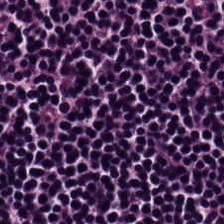Hematoxylin and eosin; formalin-fixed paraffin-embedded section.
Predominant tissue = lymphocyte aggregate.
